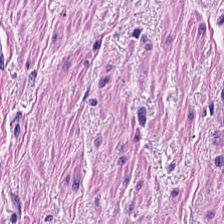Hematoxylin and eosin; 224×224 pixel tile. Predominantly smooth muscle.
